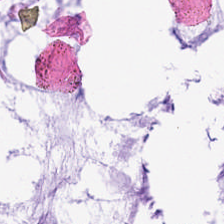Hematoxylin and eosin. The predominant tissue is extracellular mucin.
